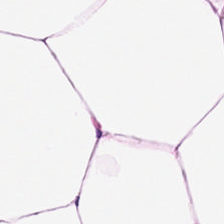Stain: H&E stain.
Acquisition: brightfield.
Resolution: 0.5 µm/px.
Tissue class: adipose.
